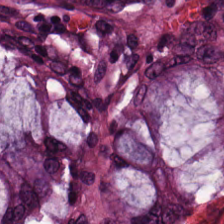Hematoxylin and eosin. Formalin-fixed paraffin-embedded section. 224×224 pixel tile. Q: What tissue is shown?
A: It is normal colon mucosa.
